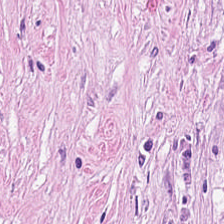Histology — desmoplastic stroma.
